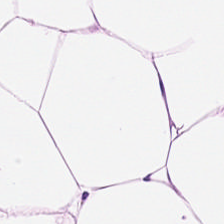Stain: hematoxylin and eosin.
Tile size: 224×224 px patch.
Acquisition: brightfield.
Tissue class: adipocytes.
